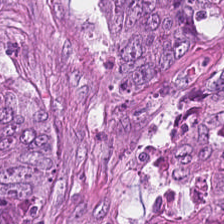H&E-stained tissue section · 20× equivalent magnification — The tissue is colorectal adenocarcinoma.
